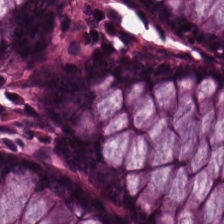Hematoxylin and eosin — Tissue type — normal colon mucosa.
